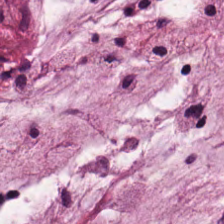Tissue type = mucin.
